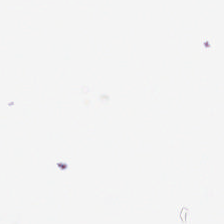Brightfield microscopy; 20× equivalent magnification; H&E. Empty field — no tissue.
